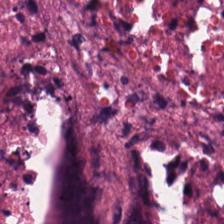20× equivalent magnification. 224×224 pixel tile. Hematoxylin-and-eosin stained section — {"tissue_type": "debris"}
